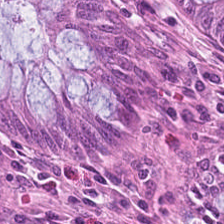H&E-stained tissue section.
Q: What is shown in this field?
A: It is non-neoplastic colon mucosa.
